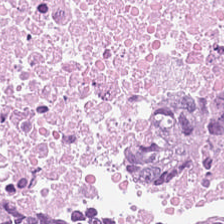Hematoxylin-and-eosin stained section. Classification = necrotic debris.
